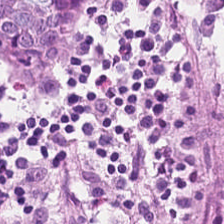H&E-stained tissue section.
Finding — benign colonic mucosa.
